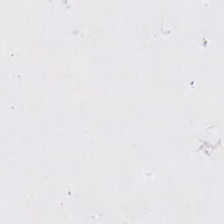Hematoxylin and eosin · 224×224 px tile. Q: What does this patch show?
A: It is empty background.
